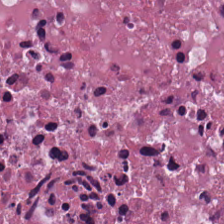Q: What does this patch show?
A: It is debris.
